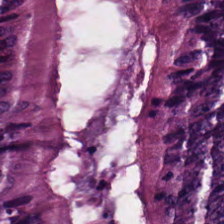Hematoxylin and eosin.
Impression — adenocarcinoma.
